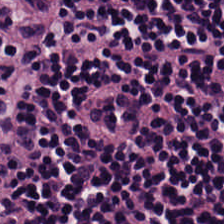This field is lymphocytes.
